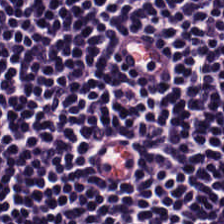H&E stain.
The predominant tissue is lymphocyte aggregate.
